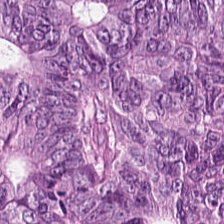H&E-stained section; the field shows adenocarcinoma.
